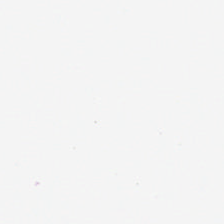H&E-stained tissue section.
This field is background (no tissue).
